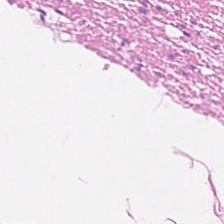H&E stain. FFPE. Brightfield. Q: What tissue is shown?
A: It is smooth muscle.
